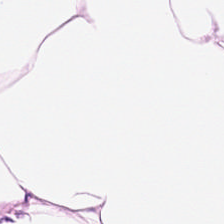Q: What tissue type is shown here?
A: This is adipose tissue.
